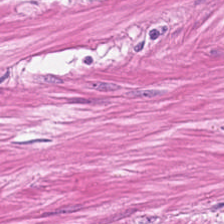H&E-stained section; the field shows smooth muscle.
